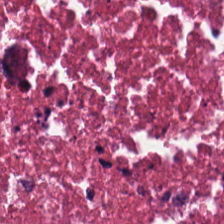Q: What is shown here?
A: Cellular debris.
